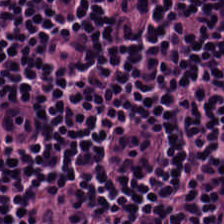0.5 microns per pixel; brightfield; H&E-stained tissue section.
Predominant tissue — lymphoid infiltrate.
